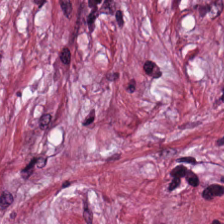Showing cancer-associated stroma.
